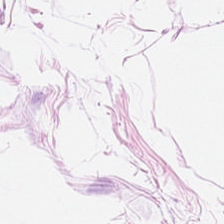Predominant tissue: fat tissue.
